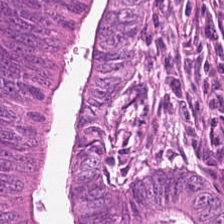The tissue type is malignant epithelium.
